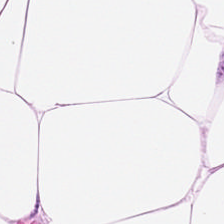Hematoxylin and eosin; FFPE; 20× equivalent magnification. Showing adipose.
